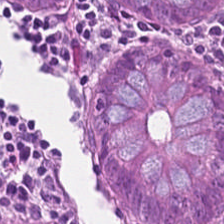H&E. WSI patch.
The tissue is non-neoplastic colon mucosa.
